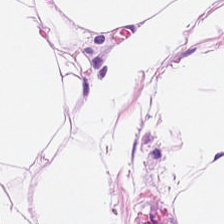0.5 µm/px. H&E-stained tissue section.
Adipose.
